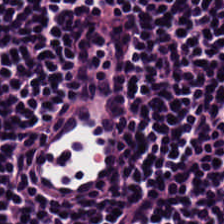H&E. Predominant tissue = lymphocytic infiltrate.
